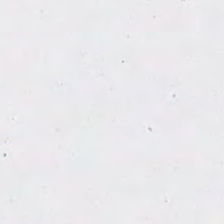224×224 px patch; 20× equivalent magnification; H&E stain.
{"content": "background (no tissue)"}
